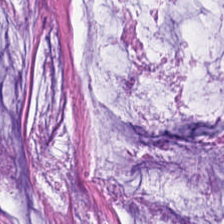Stain: H&E-stained tissue section.
Tissue class: mucus.
